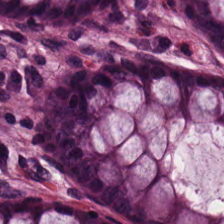0.5 µm per pixel · 224×224 pixel tile · H&E-stained tissue section.
Normal colonic mucosa.
